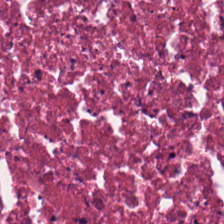The tissue is debris.
